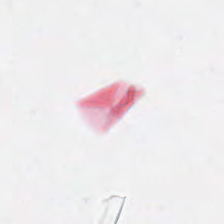WSI patch; hematoxylin and eosin. This patch shows background.
